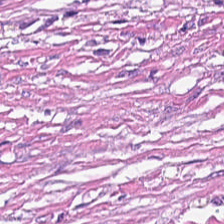H&E-stained tissue section; 0.5 µm per pixel — Predominantly cancer-associated stroma.
